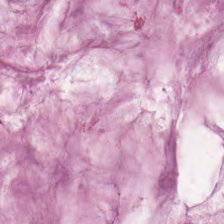Hematoxylin and eosin · formalin-fixed paraffin-embedded section. The tissue class is extracellular mucin.
